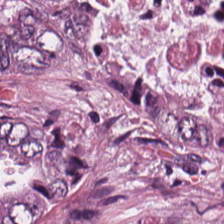Hematoxylin and eosin · FFPE tissue section · 0.5 µm per pixel — Tissue — adenocarcinoma.
